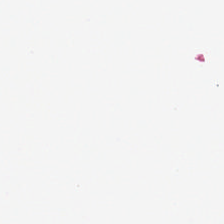FFPE tissue section. H&E. Finding → no tissue.
